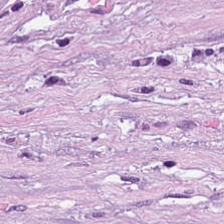Formalin-fixed paraffin-embedded section · hematoxylin and eosin — Impression → tumor-associated stroma.
